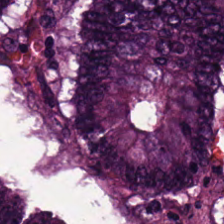Tissue class: malignant epithelium.
